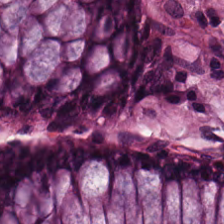H&E stain.
Q: What is shown in this field?
A: This is non-neoplastic colon mucosa.
